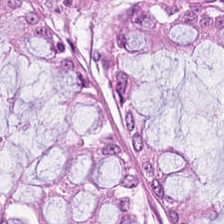Tissue: benign colonic mucosa.
